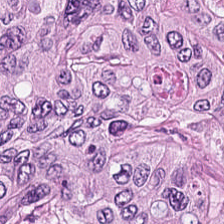The predominant tissue is colorectal adenocarcinoma epithelium.
